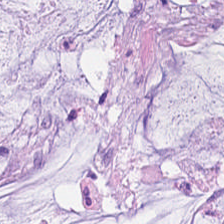Whole-slide-image patch · H&E-stained tissue section — Tissue = extracellular mucin.
